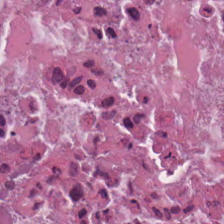H&E — {"tissue_type": "cellular debris"}
